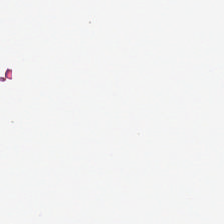Stain: H&E-stained tissue section.
Acquisition: brightfield microscopy.
Resolution: 0.5 µm per pixel.
Classification: background.
